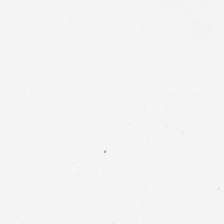H&E.
Q: What is shown here?
A: This is background (no tissue).
